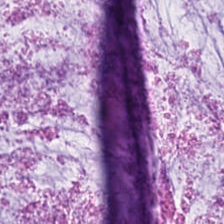FFPE · 224×224 px patch · H&E stain.
Q: Identify the tissue.
A: This is mucus.
